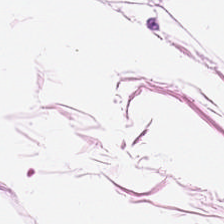Q: What tissue is shown?
A: It is adipose.
